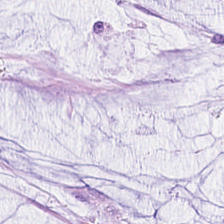Hematoxylin-and-eosin stained section. Tissue class = mucus.
